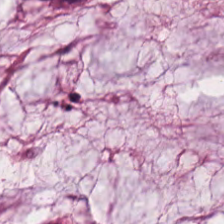H&E stain. This field is mucin.
